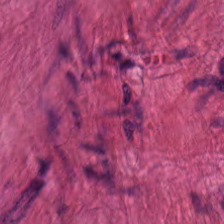H&E. Histology → smooth muscle.
